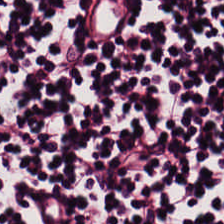Hematoxylin-and-eosin stained section. Finding → lymphoid infiltrate.
